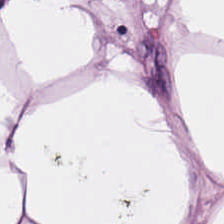Hematoxylin and eosin; 224×224 pixel tile; FFPE tissue section — Impression → fat tissue.
